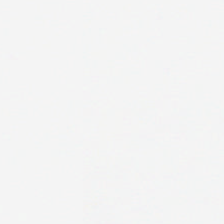No tissue present; background only.
